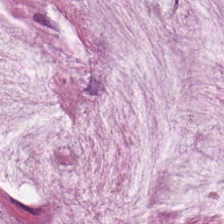Hematoxylin-and-eosin stained section.
Q: What tissue type is shown here?
A: This is mucin.
